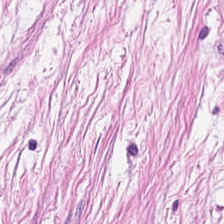The tissue class is cancer-associated stroma.
